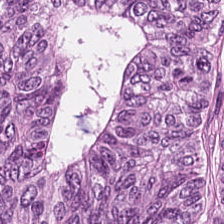Hematoxylin and eosin · 224×224 px patch · 0.5 microns per pixel.
Tissue = malignant epithelium.
